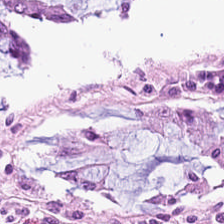Hematoxylin and eosin. Formalin-fixed paraffin-embedded section.
Predominant tissue = normal colon mucosa.
